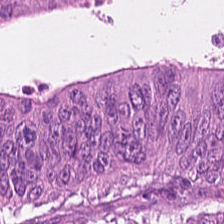FFPE. H&E stain — Finding → tumor epithelium.
